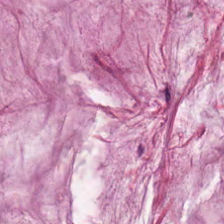Hematoxylin-and-eosin stained section. Q: What is shown here?
A: It is mucus.
